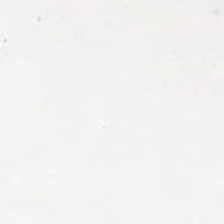H&E stain. Brightfield microscopy. FFPE.
Content = background.
